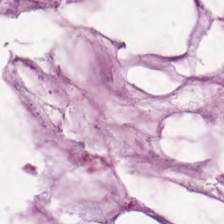Histology → mucin.
